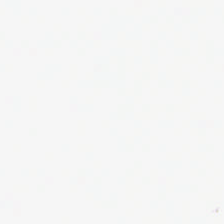Stain: hematoxylin-and-eosin stained section.
Acquisition: brightfield microscopy.
Resolution: 0.5 microns per pixel.
Content: background (no tissue).
